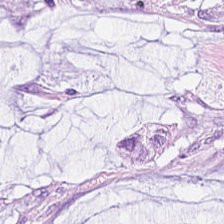Hematoxylin and eosin.
Predominantly extracellular mucin.
